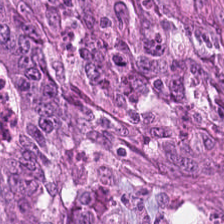0.5 microns per pixel · H&E-stained tissue section. Predominantly malignant epithelium.
